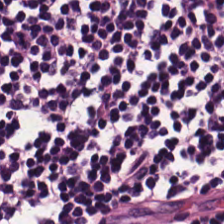Hematoxylin and eosin. Histology → lymphocytes.
